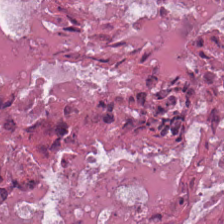20× equivalent magnification. H&E.
Necrotic debris.
